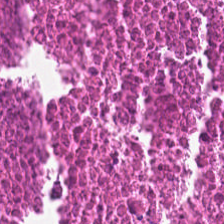H&E-stained tissue section. Finding — necrotic debris.
